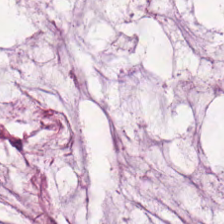H&E stain. FFPE tissue section.
The predominant tissue is mucin.
